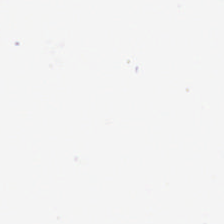H&E-stained tissue section · 0.5 microns per pixel.
Q: What is shown here?
A: It is background.
